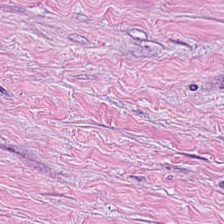H&E-stained tissue section showing tumor-associated stroma.
